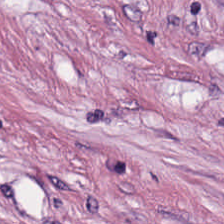224×224 px patch · hematoxylin and eosin. Impression — tumor-associated stroma.
